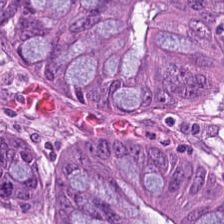H&E-stained tissue section.
Q: What tissue type is shown here?
A: The field shows malignant epithelium.
